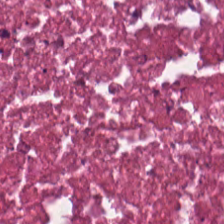H&E-stained tissue section. 20× equivalent magnification. Q: What tissue type is shown here?
A: The field shows necrotic debris.
